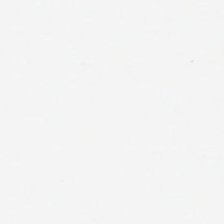Hematoxylin and eosin. Formalin-fixed paraffin-embedded section — This field is background (no tissue).
